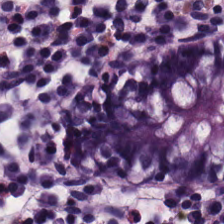Stain: H&E.
Classification: non-neoplastic colon mucosa.
